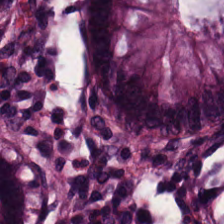Classification: normal colon mucosa.
